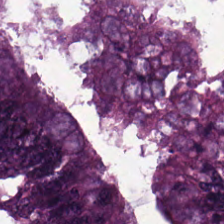Hematoxylin-and-eosin stained section.
Showing malignant epithelium.
